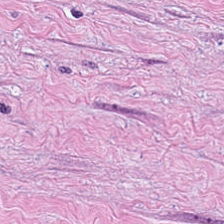0.5 µm per pixel; hematoxylin-and-eosin stained section; whole-slide-image patch — Tissue type: tumor-associated stroma.
